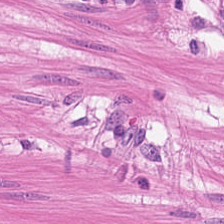Stain: H&E stain.
Resolution: 0.5 microns per pixel.
Predominant tissue: muscularis.
